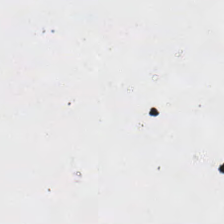Hematoxylin and eosin.
Content — background.
